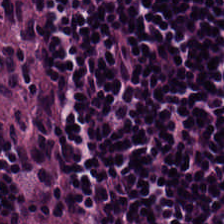{"tissue_type": "lymphoid infiltrate"}
